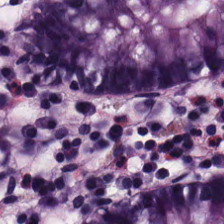H&E. Formalin-fixed paraffin-embedded section — The tissue here is normal colonic mucosa.
